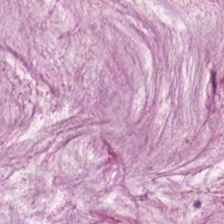Hematoxylin and eosin.
The tissue here is mucin.
